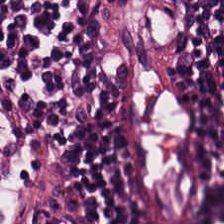H&E-stained tissue section · 224×224 px tile. The tissue type is lymphocytic infiltrate.
